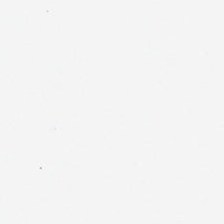Hematoxylin-and-eosin stained section. Finding — no tissue.
